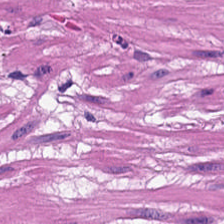H&E — Impression → smooth-muscle tissue.
